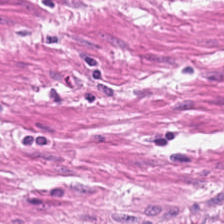Stain: H&E stain.
Tissue: muscularis.
